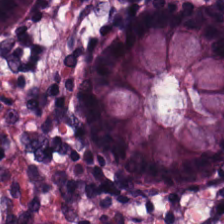Hematoxylin-and-eosin stained section — Tissue: benign colonic mucosa.
